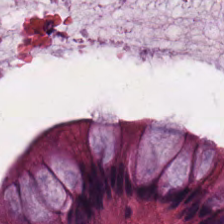Stain: H&E-stained tissue section.
Resolution: 0.5 microns per pixel.
Acquisition: WSI patch.
Classification: normal colonic mucosa.
